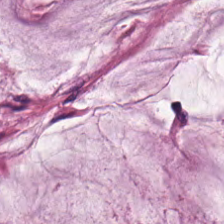Stain: H&E-stained tissue section.
Tissue type: extracellular mucin.
